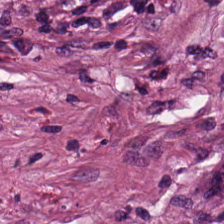FFPE · H&E-stained tissue section. Predominant tissue = cancer-associated stroma.
